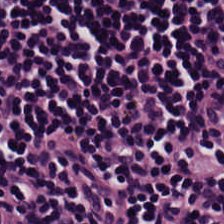Stain: H&E.
Classification: lymphocyte aggregate.
